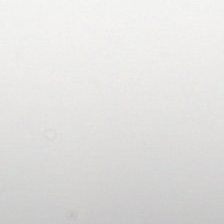The content is background.
